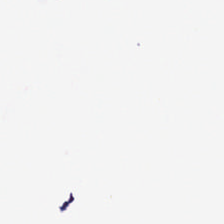WSI patch; 0.5 µm/px; H&E-stained tissue section — Background (no tissue).
